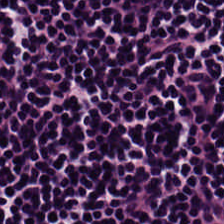224×224 px tile; H&E-stained tissue section. Predominantly lymphoid infiltrate.
